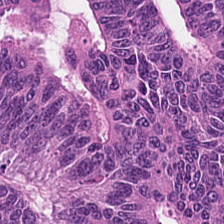FFPE tissue section. Hematoxylin and eosin. 224×224 px tile — The tissue type is tumor epithelium.
